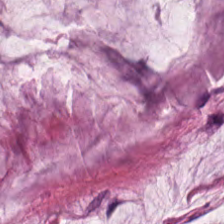H&E patch showing mucus.
